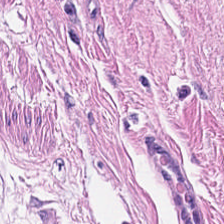0.5 µm per pixel; 224×224 px tile; H&E-stained tissue section — This patch shows smooth-muscle tissue.
